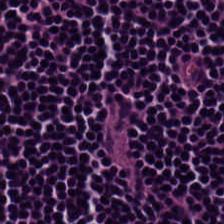H&E-stained tissue section.
The classification is lymphocytes.
